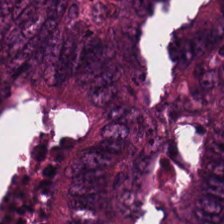FFPE. Hematoxylin and eosin. Tissue type: tumor epithelium.
